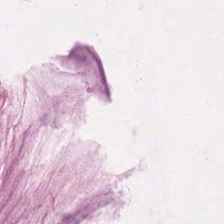H&E — mucin.
